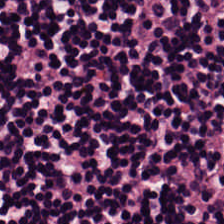The classification is lymphocytes.
